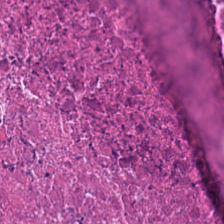Stain: hematoxylin-and-eosin stained section.
Classification: cellular debris.
